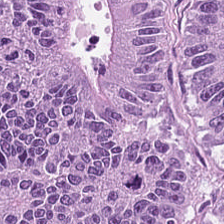H&E-stained tissue section. {"tissue_type": "colorectal adenocarcinoma epithelium"}
